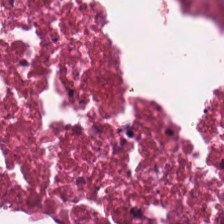H&E-stained tissue section · FFPE tissue section. Predominantly necrotic debris.
